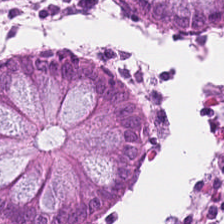Hematoxylin-and-eosin stained section; brightfield; 224×224 px tile — Predominantly normal colonic mucosa.
